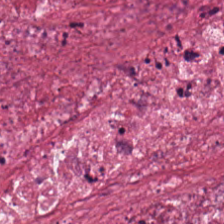H&E stain. This patch shows tumor-associated stroma.
